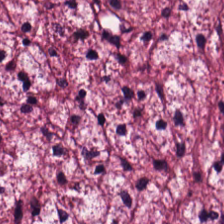H&E — desmoplastic stroma.
